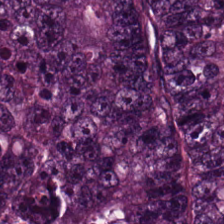H&E.
Q: What type of tissue is this?
A: The field shows malignant epithelium.
